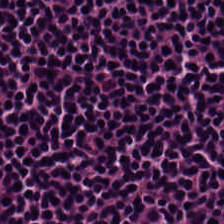Stain: H&E.
Predominant tissue: lymphocyte aggregate.
